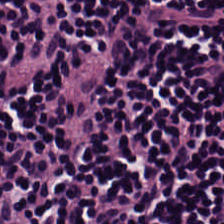224×224 pixel tile. Hematoxylin and eosin. The tissue is lymphocytes.
